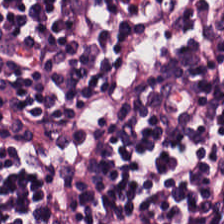Brightfield. 0.5 µm per pixel. H&E.
Predominant tissue — lymphocyte aggregate.
